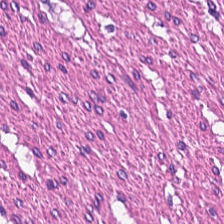Whole-slide-image patch · H&E stain · 224×224 pixel tile. Impression — smooth muscle.
